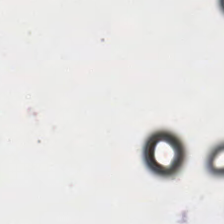Background — no tissue in this field.
